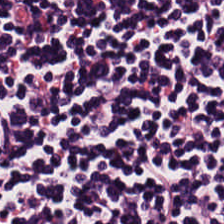H&E-stained tissue section.
{"tissue_type": "lymphocytes"}
